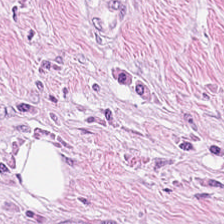H&E patch showing tumor stroma.
